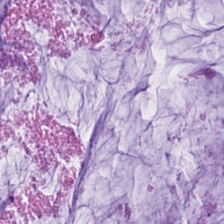224×224 pixel tile; H&E-stained tissue section. The predominant tissue is mucus.
